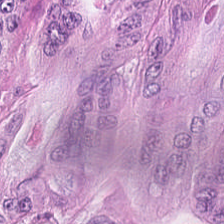H&E-stained tissue section — Impression → colorectal adenocarcinoma epithelium.
